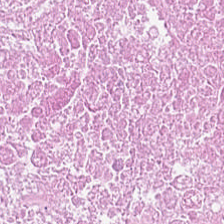Formalin-fixed paraffin-embedded section · H&E-stained tissue section. Tissue = cellular debris.
